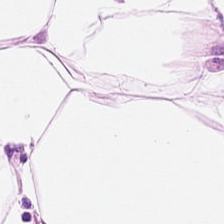Stain: H&E stain.
Acquisition: brightfield.
Preparation: FFPE tissue section.
Tissue class: adipose.
